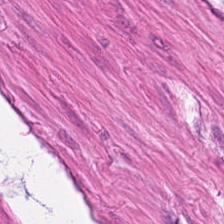H&E stain — Tissue type: smooth-muscle tissue.
